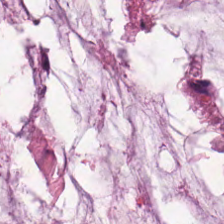Formalin-fixed paraffin-embedded section; 0.5 microns per pixel; H&E stain — This field is mucus.
